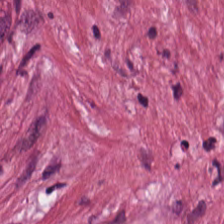Hematoxylin-and-eosin stained section.
Predominantly tumor stroma.
